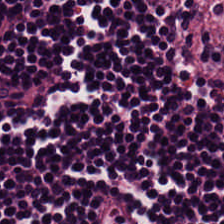Hematoxylin and eosin. {"tissue_type": "lymphocytic infiltrate"}
